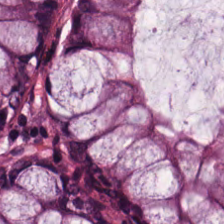H&E stain · whole-slide-image patch. The tissue type is normal colon mucosa.
